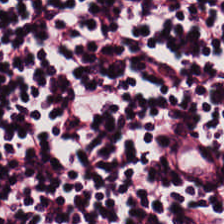This patch shows lymphocytic infiltrate.
